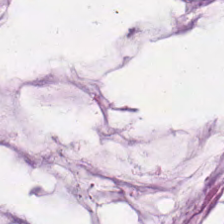H&E stain; FFPE.
Q: What is shown in this field?
A: The field shows mucin.
